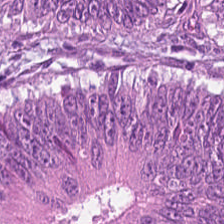224×224 px patch. Formalin-fixed paraffin-embedded section. H&E — {"tissue_type": "colorectal adenocarcinoma"}
